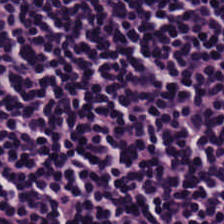Predominant tissue: lymphocyte aggregate.
